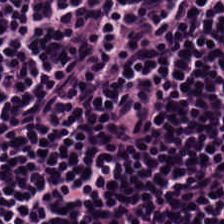H&E stain. Formalin-fixed paraffin-embedded section.
{"tissue_type": "lymphocytes"}
